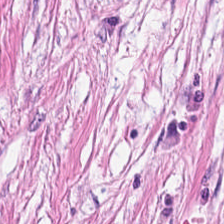FFPE tissue section · H&E stain — Q: What tissue is shown?
A: This is desmoplastic stroma.
